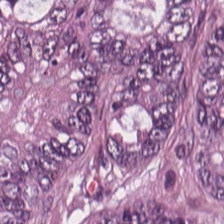224×224 pixel tile; H&E-stained tissue section; brightfield microscopy — The tissue class is adenocarcinoma.
